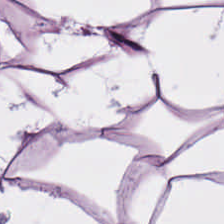H&E-stained tissue section.
Adipocytes.
